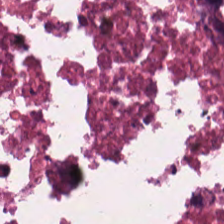Tissue = debris.
